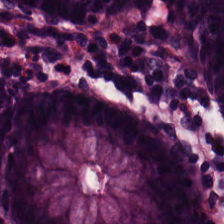H&E stain. Predominantly normal colon mucosa.
